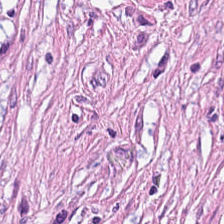Stain: hematoxylin-and-eosin stained section.
Resolution: 20× equivalent magnification.
Preparation: formalin-fixed paraffin-embedded section.
Tissue: desmoplastic stroma.
